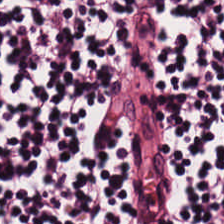H&E-stained tissue section — Tissue type: lymphocytes.
